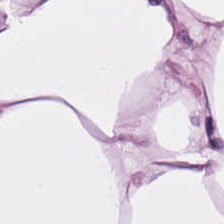224×224 px patch · brightfield · hematoxylin-and-eosin stained section. Adipose tissue.
